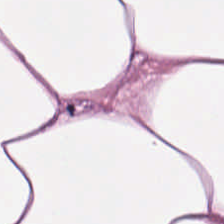H&E stain.
Tissue type = fat tissue.
